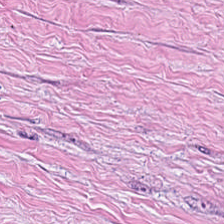Histology → tumor stroma.
